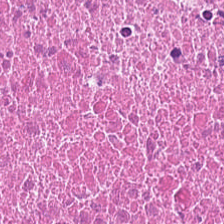H&E · 224×224 px tile · whole-slide-image patch — The tissue here is cellular debris.
